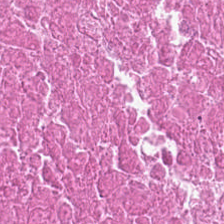20× equivalent magnification. H&E stain.
The predominant tissue is cellular debris.
